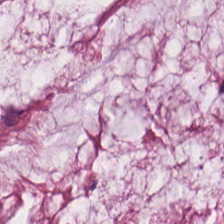Showing extracellular mucin.
